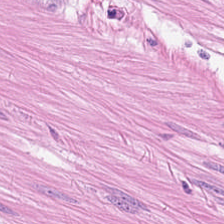Formalin-fixed paraffin-embedded section. Hematoxylin and eosin.
Q: What tissue is shown?
A: This is smooth-muscle tissue.
